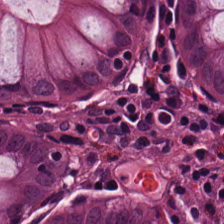Impression → normal colon mucosa.
